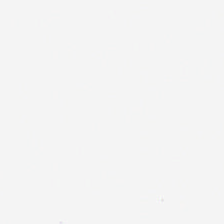H&E-stained tissue section — No tissue present; background only.
